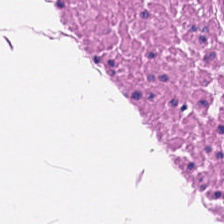H&E.
Predominantly muscularis.
